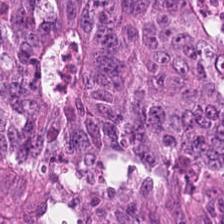Stain: H&E stain.
Tile size: 224×224 px tile.
Tissue class: adenocarcinoma.
